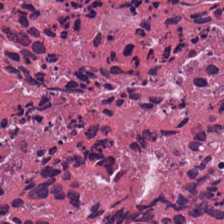Predominantly necrotic debris.
